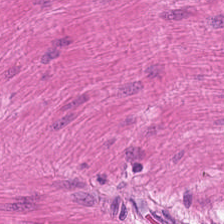H&E-stained tissue section · 224×224 px tile — Showing muscularis.
